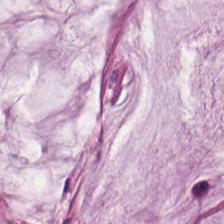H&E-stained tissue section.
Tissue type: mucin.
